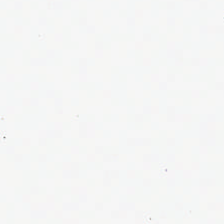Stain: hematoxylin-and-eosin stained section.
Field content: no tissue.
